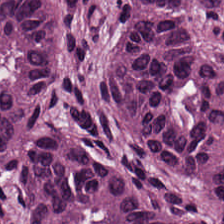FFPE · 224×224 px tile · hematoxylin-and-eosin stained section — Classification — colorectal adenocarcinoma.
